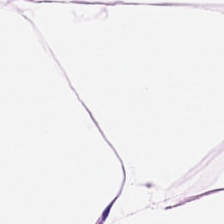This patch shows adipose tissue.
